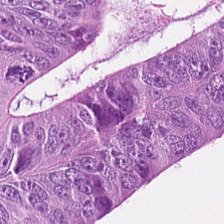Q: What does this patch show?
A: It is colorectal adenocarcinoma.
